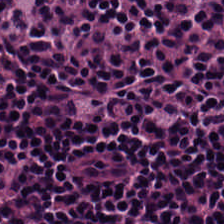224×224 px tile; 0.5 microns per pixel; H&E — Finding — lymphoid infiltrate.
